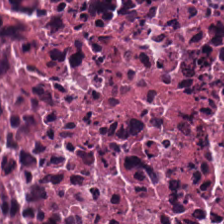H&E-stained tissue section · brightfield — This field is necrotic debris.
